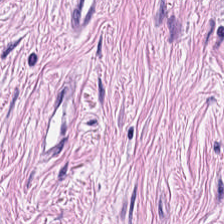H&E — {"tissue_type": "tumor stroma"}
